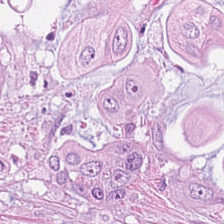Hematoxylin-and-eosin stained section — Histology — colorectal adenocarcinoma.
